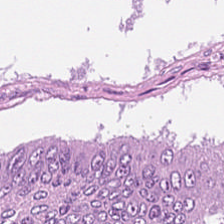H&E stain — {"tissue_type": "colorectal adenocarcinoma epithelium"}
